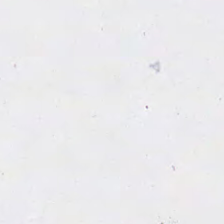H&E stain · FFPE · whole-slide-image patch — {"content": "empty background"}
